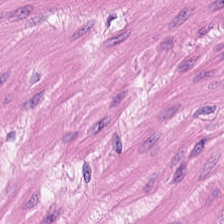Tissue — muscularis.
